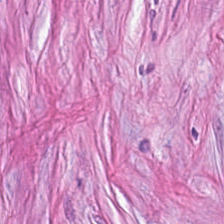Predominantly tumor-associated stroma.
